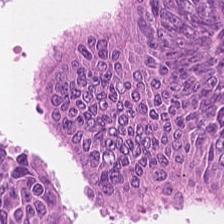Hematoxylin and eosin.
Tissue = malignant epithelium.
